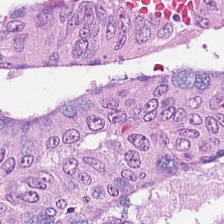Hematoxylin and eosin.
Showing colorectal adenocarcinoma.
